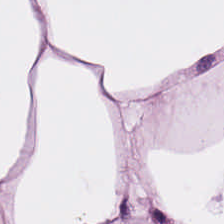H&E-stained tissue section showing adipose.
